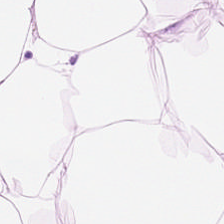The predominant tissue is adipose tissue.
